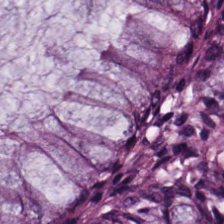224×224 px patch · H&E stain — Q: What tissue type is shown here?
A: The field shows normal colon mucosa.
